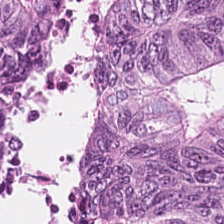224×224 px tile · 0.5 µm per pixel · hematoxylin-and-eosin stained section.
Q: What is shown in this field?
A: The field shows tumor epithelium.
